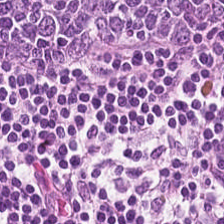H&E stain — Q: What type of tissue is this?
A: This is lymphocytic infiltrate.
